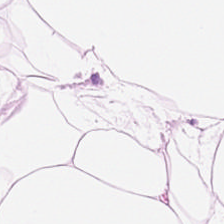Stain: hematoxylin and eosin.
Predominant tissue: adipose.
